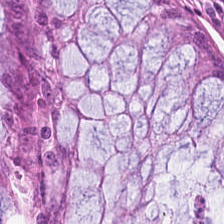Hematoxylin and eosin. The tissue here is normal colonic mucosa.
